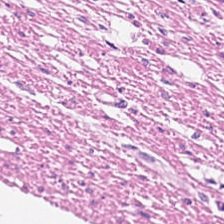20× equivalent magnification · H&E — The classification is muscularis.
